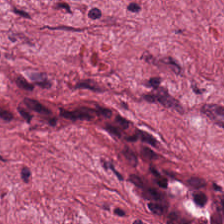H&E-stained tissue section · FFPE · 0.5 µm/px — Impression → cancer-associated stroma.
